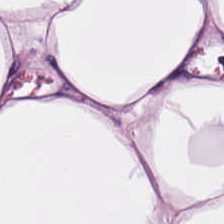H&E; 224×224 px patch. The tissue is adipose.
